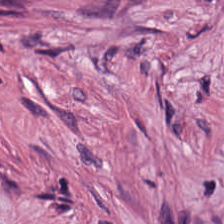Hematoxylin-and-eosin stained section. 20× equivalent magnification — Tissue class = desmoplastic stroma.
